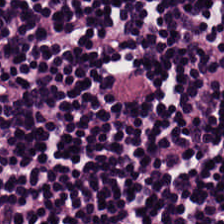Q: What tissue type is shown here?
A: It is lymphoid infiltrate.
